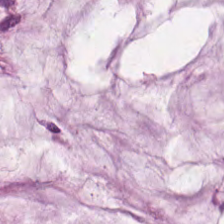Hematoxylin and eosin — The predominant tissue is mucin.
